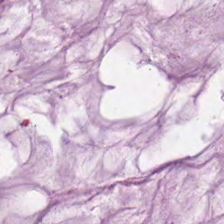H&E. Predominant tissue — extracellular mucin.
